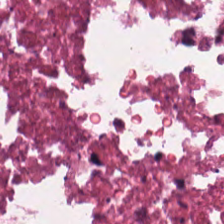H&E stain — Q: What is shown here?
A: Necrotic debris.
